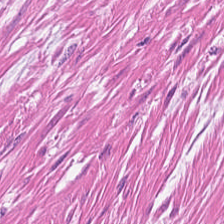H&E. Brightfield microscopy. 224×224 px tile.
Q: Classify this patch.
A: It is smooth muscle.
